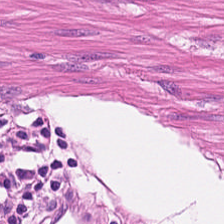Stain: H&E.
Preparation: FFPE tissue section.
Tissue: muscularis.
